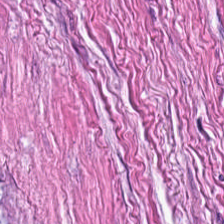Hematoxylin and eosin — {"tissue_type": "smooth-muscle tissue"}
